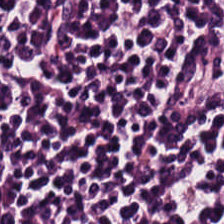Hematoxylin and eosin.
The tissue class is lymphocyte aggregate.
